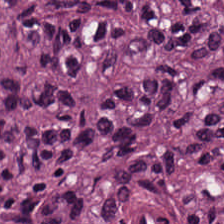H&E-stained tissue section · 224×224 px patch — The classification is malignant epithelium.
